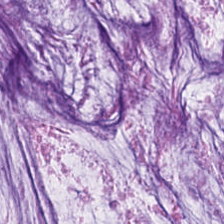Histology → extracellular mucin.
